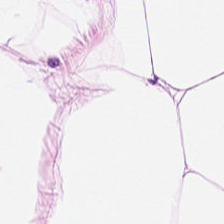Hematoxylin and eosin.
Classification = adipose.
